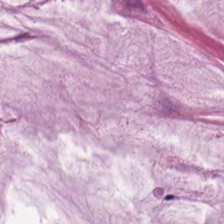Q: What type of tissue is this?
A: It is extracellular mucin.
